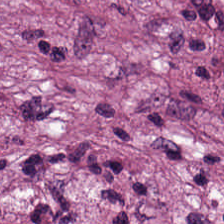H&E; brightfield.
Finding → cancer-associated stroma.
